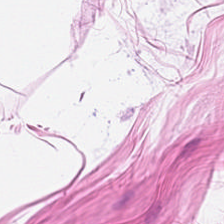H&E — {"tissue_type": "adipose"}
